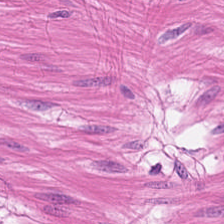The tissue is smooth muscle.
